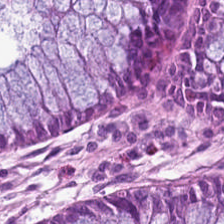The tissue here is normal colonic mucosa.
